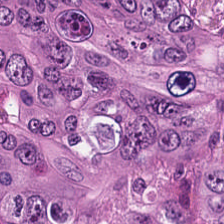224×224 px patch. 0.5 µm/px. H&E. The classification is tumor epithelium.
